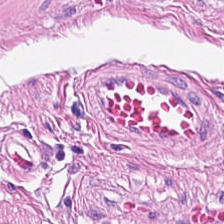H&E stain · 224×224 px patch — The classification is smooth-muscle tissue.
